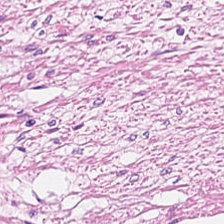{"tissue_type": "smooth-muscle tissue"}
